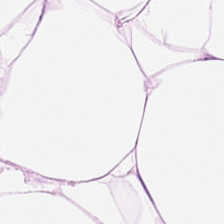H&E-stained tissue section.
Tissue class — fat tissue.
